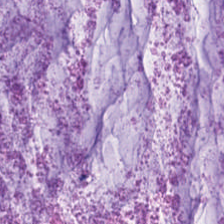Hematoxylin-and-eosin stained section — Finding — extracellular mucin.
